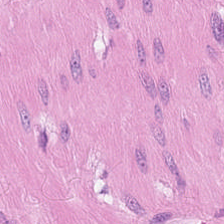Hematoxylin-and-eosin stained section; 0.5 µm/px. Tissue type — smooth-muscle tissue.
